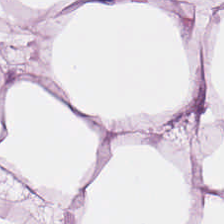224×224 px patch; H&E stain. Impression — adipose tissue.
